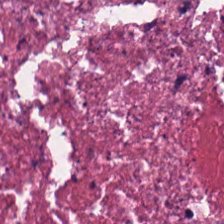Formalin-fixed paraffin-embedded section · brightfield microscopy · H&E stain.
Impression — necrotic debris.
